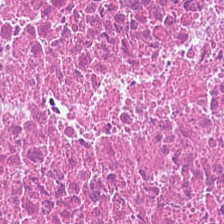Whole-slide-image patch · 224×224 px tile · hematoxylin-and-eosin stained section. Showing cellular debris.
